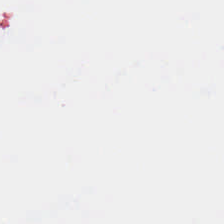Brightfield. H&E stain.
Finding — no tissue.
